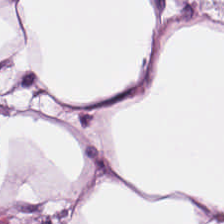H&E. Tissue class — fat tissue.
